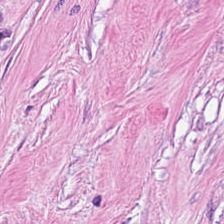The predominant tissue is desmoplastic stroma.
